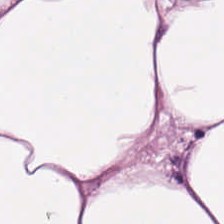Hematoxylin and eosin · 0.5 µm per pixel.
Histology — adipose tissue.
